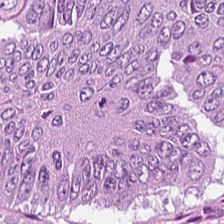WSI patch; H&E.
Classification = colorectal adenocarcinoma epithelium.
